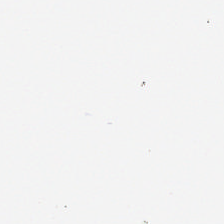Hematoxylin-and-eosin stained section. Classification = background (no tissue).
